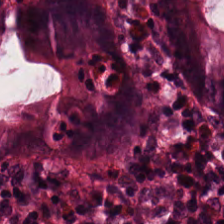Q: Identify the tissue.
A: This is normal colonic mucosa.
